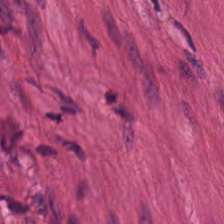H&E-stained tissue section.
Showing smooth-muscle tissue.
